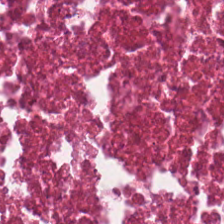224×224 pixel tile; H&E-stained tissue section; WSI patch. Predominantly cellular debris.
